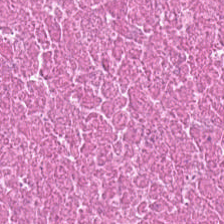224×224 px tile · H&E — The predominant tissue is debris.
